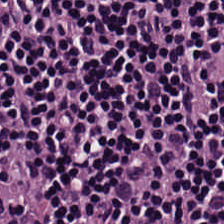WSI patch. Hematoxylin-and-eosin stained section — Predominant tissue — lymphocytes.
